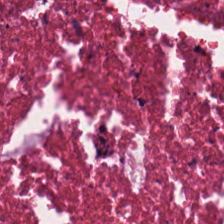Hematoxylin and eosin · 224×224 px patch. Impression → necrotic debris.
